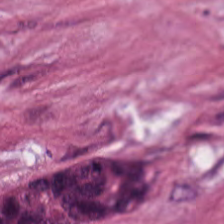Classification: tumor-associated stroma.
